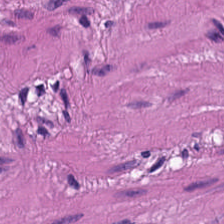H&E.
Q: What type of tissue is this?
A: This is smooth muscle.
